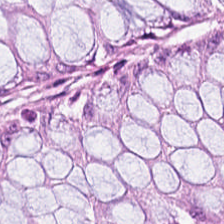Hematoxylin-and-eosin stained section. Predominantly normal colonic mucosa.
